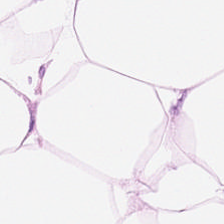H&E — fat tissue.
